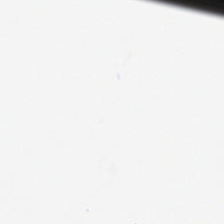Background — no tissue in this field.
